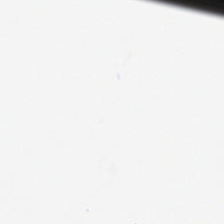Background — no tissue in this field.
